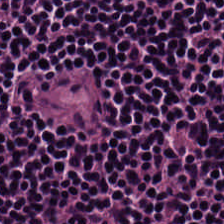Formalin-fixed paraffin-embedded section; hematoxylin and eosin.
Finding → lymphocyte aggregate.
